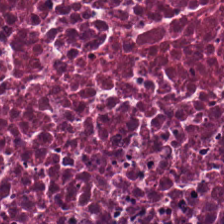H&E patch showing necrotic debris.
